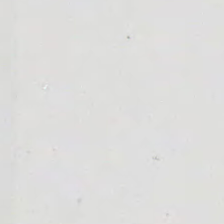Brightfield. H&E stain. 0.5 µm/px. Empty field — background.
